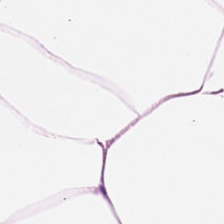Formalin-fixed paraffin-embedded section; H&E-stained tissue section.
Predominantly fat tissue.
